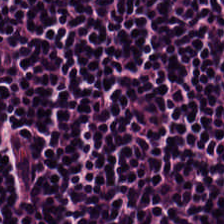Hematoxylin-and-eosin stained section · WSI patch · 224×224 px tile — Tissue: lymphocytes.
